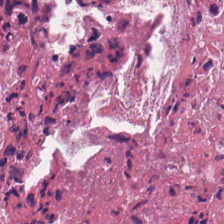Stain: H&E-stained tissue section.
Tissue type: necrotic debris.
